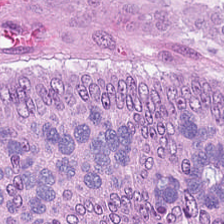H&E stain. The tissue here is colorectal adenocarcinoma.
